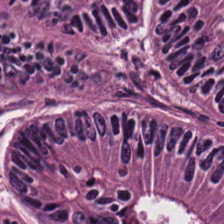H&E-stained section; the field shows colorectal adenocarcinoma.
